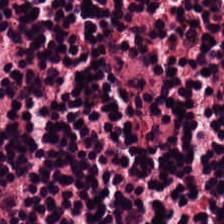H&E-stained tissue section. The tissue is lymphocytic infiltrate.
